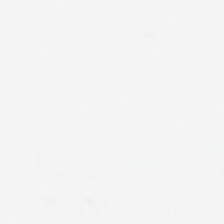Background.
